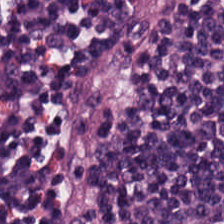Stain: H&E.
Preparation: formalin-fixed paraffin-embedded section.
Resolution: 20× equivalent magnification.
Predominant tissue: lymphocytic infiltrate.
